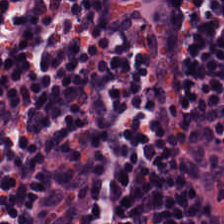H&E.
Q: What is shown here?
A: This is lymphocytes.
